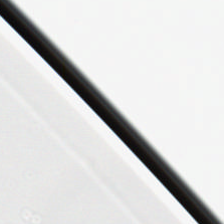H&E stain · 0.5 microns per pixel · brightfield — Field content — background.
